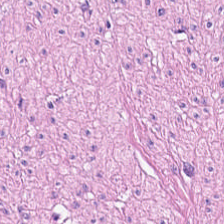Brightfield microscopy. Hematoxylin and eosin.
Tissue class — muscularis.
